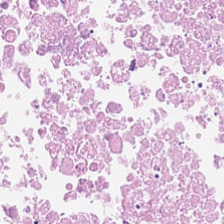H&E; 224×224 px patch. Q: What is shown in this field?
A: The field shows necrotic debris.
